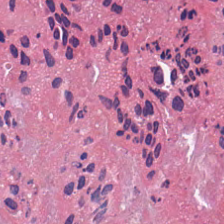Hematoxylin-and-eosin stained section. Histology — cellular debris.
